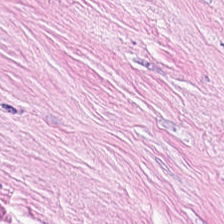224×224 px tile; H&E-stained tissue section — Q: What is the predominant tissue type?
A: It is cancer-associated stroma.
